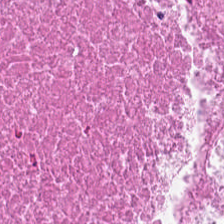H&E — necrotic debris.
